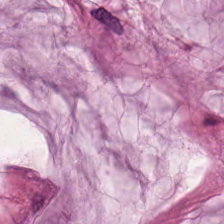FFPE tissue section; 0.5 microns per pixel; H&E stain.
The tissue is extracellular mucin.
